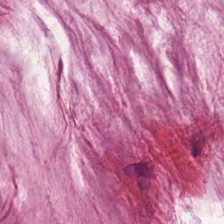FFPE; hematoxylin-and-eosin stained section. Tissue type — extracellular mucin.
